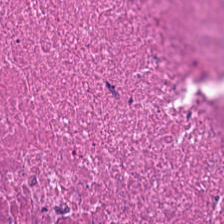Hematoxylin-and-eosin stained section. This field is debris.
